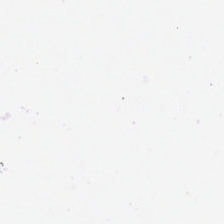0.5 µm/px · H&E-stained tissue section.
Background — no tissue in this field.
